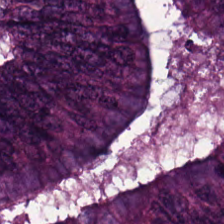Impression → tumor epithelium.
